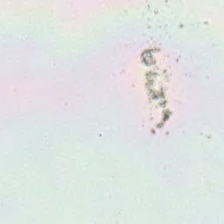{"content": "background (no tissue)"}
